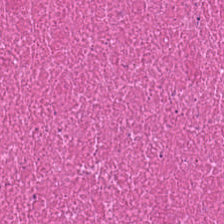Hematoxylin-and-eosin stained section. Predominantly cellular debris.
